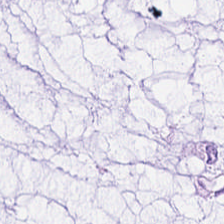Hematoxylin-and-eosin stained section. Histology — mucin.
